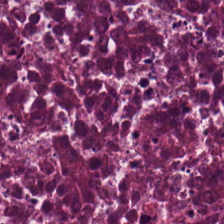H&E stain. This patch shows debris.
